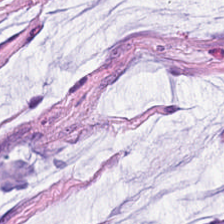Hematoxylin-and-eosin section: extracellular mucin.
